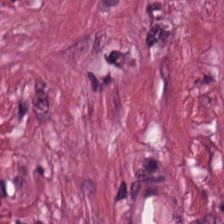Hematoxylin-and-eosin stained section. The tissue here is cancer-associated stroma.
